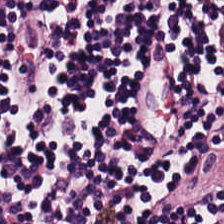H&E. WSI patch. 224×224 px patch — Q: Classify this patch.
A: It is lymphoid infiltrate.
